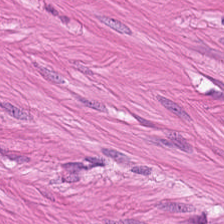H&E — smooth-muscle tissue.
